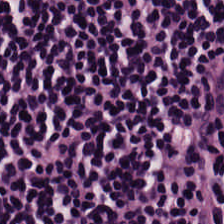Stain: H&E-stained tissue section.
Tissue: lymphocytic infiltrate.
